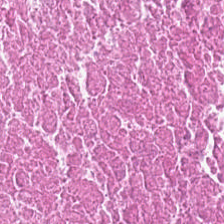Hematoxylin and eosin. 20× equivalent magnification. The tissue is necrotic debris.
